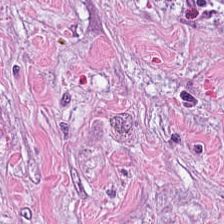Formalin-fixed paraffin-embedded section. H&E. Impression → tumor stroma.
